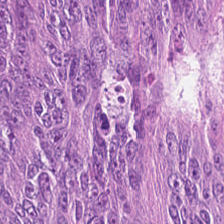H&E.
The tissue type is tumor epithelium.
